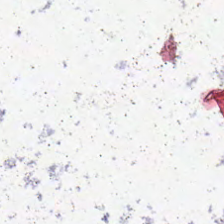H&E stain; 224×224 pixel tile. The field content is no tissue.
